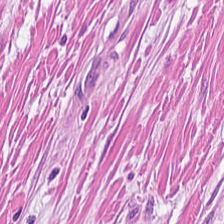Hematoxylin-and-eosin stained section — Showing smooth-muscle tissue.
